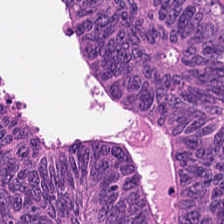Histology → colorectal adenocarcinoma.
